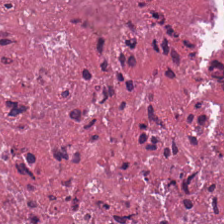H&E-stained tissue section. Impression — cellular debris.
